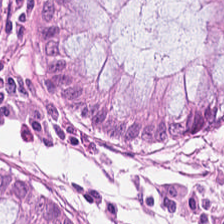Stain: H&E-stained tissue section.
Tissue: benign colonic mucosa.
